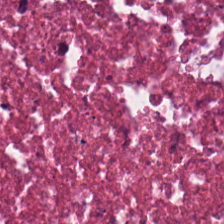Stain: hematoxylin and eosin.
Tile size: 224×224 px tile.
Resolution: 0.5 µm per pixel.
Tissue class: cellular debris.
